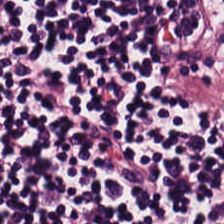Hematoxylin and eosin.
The tissue type is lymphocytes.
